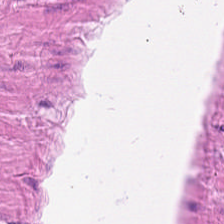H&E-stained tissue section. Showing muscularis.
